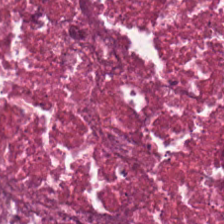Tissue type: cellular debris.
